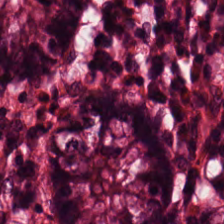H&E-stained tissue section.
Predominant tissue — normal colon mucosa.
